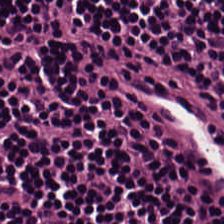Hematoxylin-and-eosin stained section. The tissue here is lymphocytes.
